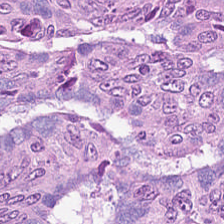H&E.
Finding → malignant epithelium.
